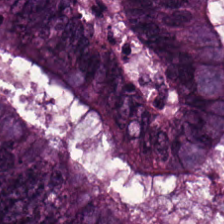Hematoxylin and eosin.
This patch shows colorectal adenocarcinoma epithelium.
